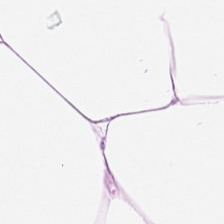H&E — fat tissue.
